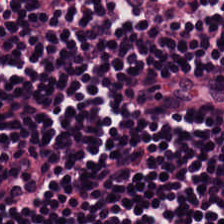Hematoxylin-and-eosin stained section. Q: What is shown in this field?
A: This is lymphocytic infiltrate.
